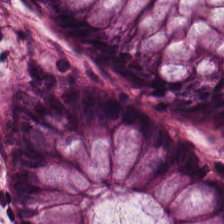H&E stain · 20× equivalent magnification · formalin-fixed paraffin-embedded section. Predominantly normal colon mucosa.
